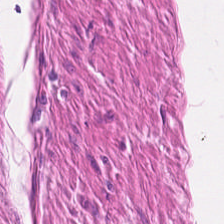H&E.
Q: What is the predominant tissue type?
A: This is smooth muscle.
